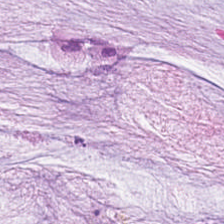FFPE. H&E-stained tissue section.
Tissue type — mucin.
